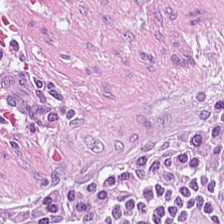H&E; 224×224 pixel tile — The predominant tissue is cancer-associated stroma.
